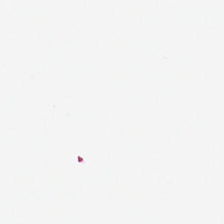H&E stain. Formalin-fixed paraffin-embedded section.
Q: Classify this patch.
A: The field shows background.
